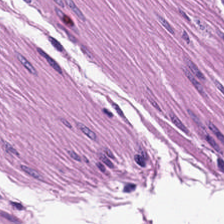Q: Classify this patch.
A: Smooth muscle.
